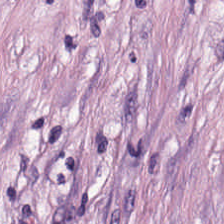0.5 microns per pixel · H&E — {"tissue_type": "desmoplastic stroma"}
